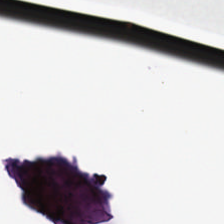Stain: hematoxylin and eosin.
Content: no tissue.
